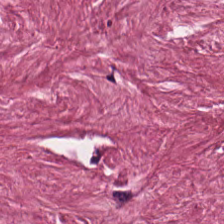H&E — Predominant tissue — tumor stroma.
